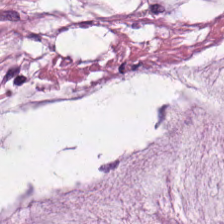H&E. The predominant tissue is mucin.
